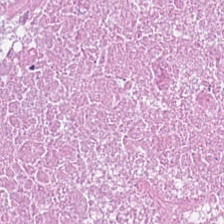Stain: hematoxylin and eosin.
Tissue type: necrotic debris.
